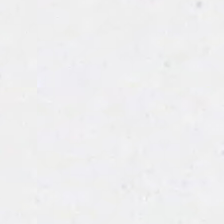0.5 µm per pixel · hematoxylin and eosin · 224×224 px tile. No tissue present; background only.
